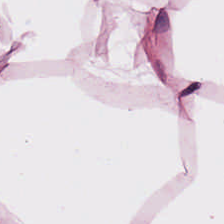H&E stain. This patch shows adipose.
